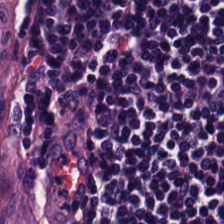Hematoxylin-and-eosin stained section.
Impression — lymphocytes.
